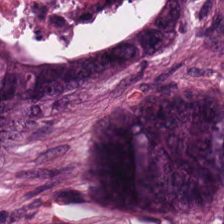H&E stain · 224×224 px patch — Q: What is the predominant tissue type?
A: The field shows colorectal adenocarcinoma epithelium.
